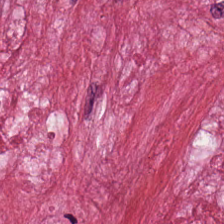H&E. The tissue here is desmoplastic stroma.
